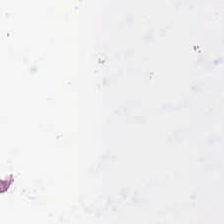H&E — Finding → empty background.
